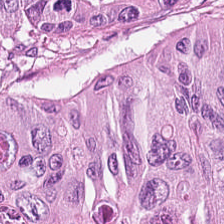0.5 microns per pixel; H&E stain; 224×224 px tile — Q: What tissue type is shown here?
A: Colorectal adenocarcinoma.
